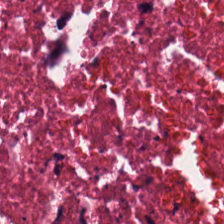The tissue here is debris.
